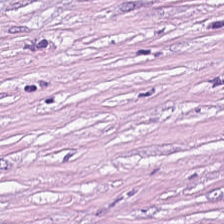Stain: H&E-stained tissue section.
Classification: desmoplastic stroma.
